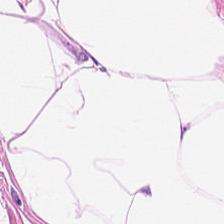0.5 microns per pixel · hematoxylin and eosin · formalin-fixed paraffin-embedded section. Impression — adipose tissue.
